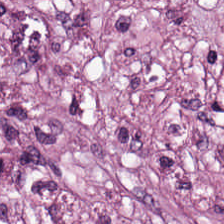Stain: hematoxylin and eosin.
Predominant tissue: tumor stroma.
